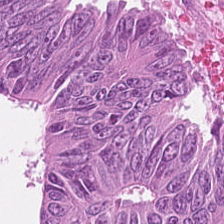Hematoxylin-and-eosin stained section.
The classification is colorectal adenocarcinoma.
